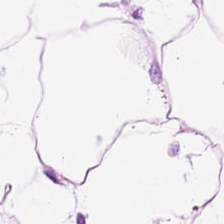Hematoxylin-and-eosin stained section · whole-slide-image patch. The tissue is adipose.
